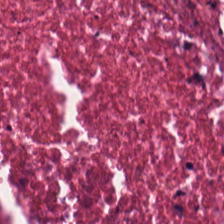The tissue here is necrotic debris.
